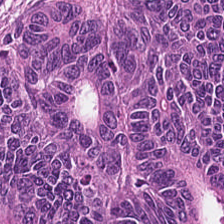H&E — Q: What is shown here?
A: The field shows adenocarcinoma.
